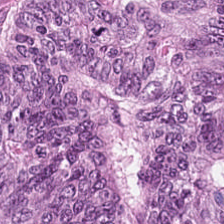Hematoxylin and eosin.
Q: What does this patch show?
A: It is colorectal adenocarcinoma epithelium.
